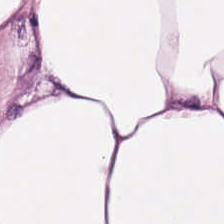Hematoxylin and eosin. Adipocytes.
